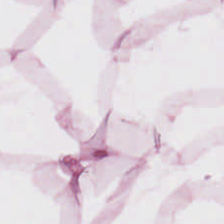H&E stain — Adipose tissue.
